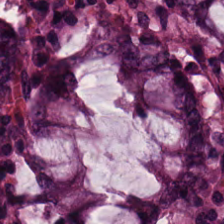Hematoxylin-and-eosin stained section; brightfield — {"tissue_type": "benign colonic mucosa"}
